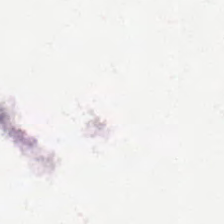Stain: hematoxylin-and-eosin stained section.
Resolution: 20× equivalent magnification.
Acquisition: brightfield microscopy.
Classification: background (no tissue).
